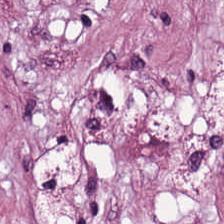0.5 µm/px · hematoxylin-and-eosin stained section. Tissue type — cancer-associated stroma.
